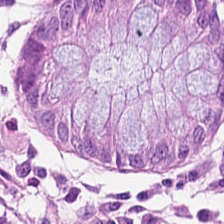Classification: normal colonic mucosa.
